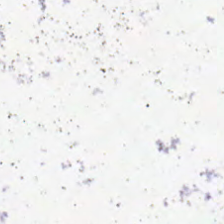Stain: hematoxylin-and-eosin stained section.
Content: background (no tissue).
